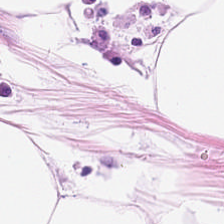Impression — adipose.
